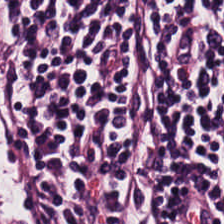Stain: H&E stain.
Tile size: 224×224 px patch.
Tissue: lymphocytes.
